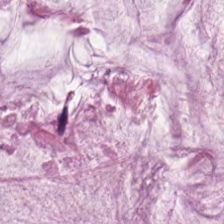Stain: hematoxylin and eosin.
Classification: mucin.
